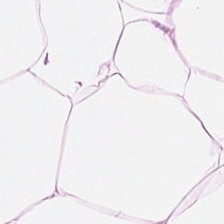H&E-stained tissue section. The tissue here is adipose.
